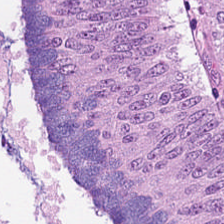H&E stain. 224×224 pixel tile. Histology — malignant epithelium.
